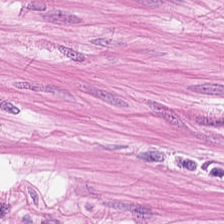H&E-stained tissue section · 224×224 pixel tile · brightfield. Tissue class: smooth muscle.
